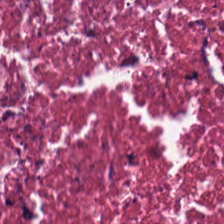Hematoxylin-and-eosin stained section.
Q: Identify the tissue.
A: The field shows debris.
